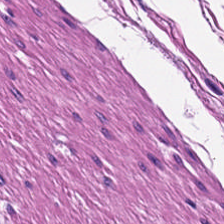Hematoxylin and eosin.
Tissue class = smooth muscle.
